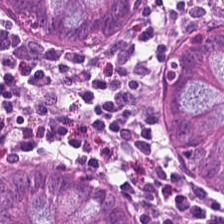Whole-slide-image patch; H&E stain. Q: What does this patch show?
A: This is non-neoplastic colon mucosa.
